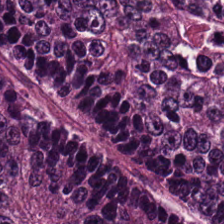0.5 µm/px; H&E stain — Q: What tissue type is shown here?
A: This is colorectal adenocarcinoma epithelium.
